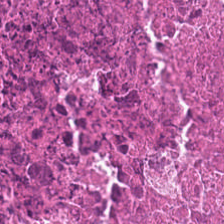Histology — cellular debris.
